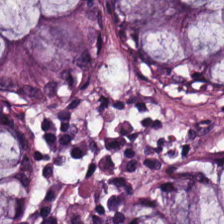Histology → normal colonic mucosa.
